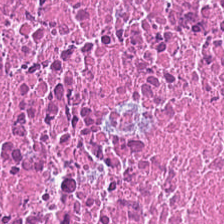Hematoxylin and eosin; 0.5 µm per pixel; WSI patch.
Tissue type — necrotic debris.
